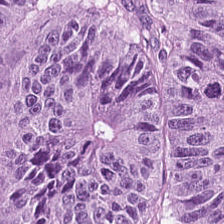Predominant tissue: colorectal adenocarcinoma.
